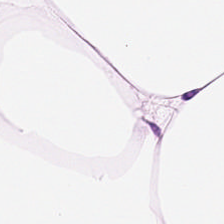Tissue type = adipose tissue.
